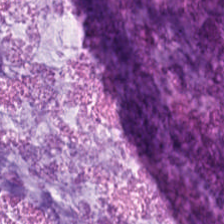Hematoxylin-and-eosin stained section — Classification = extracellular mucin.
